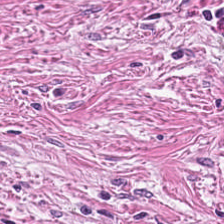H&E — Q: What tissue is shown?
A: This is cancer-associated stroma.
